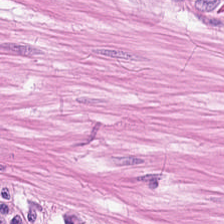Impression — smooth-muscle tissue.
